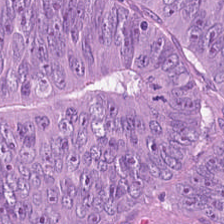Hematoxylin and eosin. Showing adenocarcinoma.
